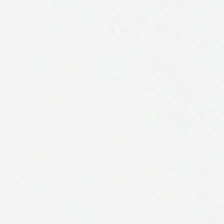0.5 µm per pixel; 224×224 pixel tile; H&E stain — Background.
